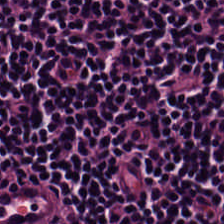Q: What type of tissue is this?
A: This is lymphocytes.
